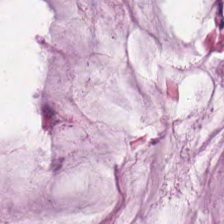Q: What type of tissue is this?
A: This is mucin.
